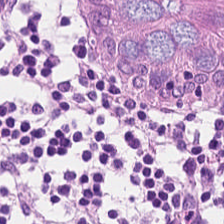224×224 px tile · hematoxylin and eosin · whole-slide-image patch. Histology → non-neoplastic colon mucosa.
